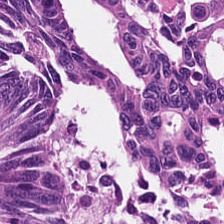224×224 pixel tile; 0.5 µm/px; hematoxylin and eosin. The tissue here is colorectal adenocarcinoma.
